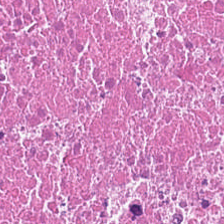Hematoxylin and eosin. The predominant tissue is cellular debris.
